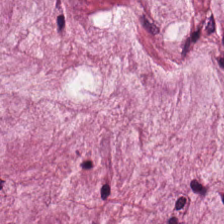The tissue class is mucin.
